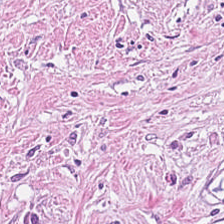The predominant tissue is cancer-associated stroma.
